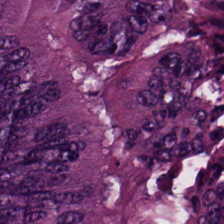WSI patch; hematoxylin-and-eosin stained section.
The predominant tissue is colorectal adenocarcinoma epithelium.
